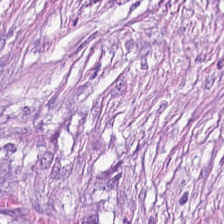Brightfield microscopy; H&E stain; FFPE.
{"tissue_type": "desmoplastic stroma"}
